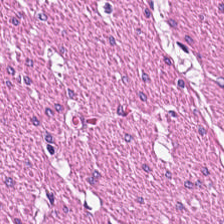Tissue type = muscularis.
